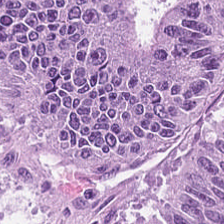Tissue type: malignant epithelium.
